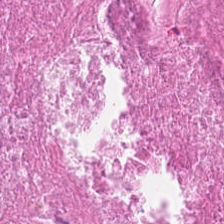Stain: hematoxylin and eosin.
Predominant tissue: cellular debris.
